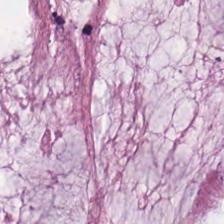20× equivalent magnification · hematoxylin and eosin · 224×224 px tile — Showing extracellular mucin.
